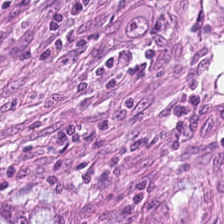H&E-stained tissue section.
Q: What does this patch show?
A: It is adenocarcinoma.
